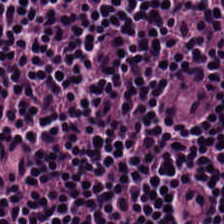Stain: H&E-stained tissue section.
Preparation: formalin-fixed paraffin-embedded section.
Tissue: lymphocyte aggregate.
